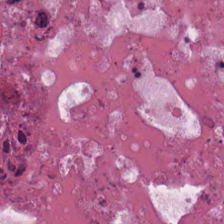Hematoxylin and eosin. The tissue here is necrotic debris.
